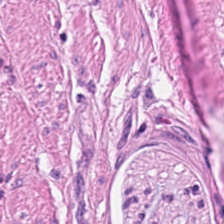Hematoxylin and eosin; 224×224 pixel tile — The tissue here is muscularis.
